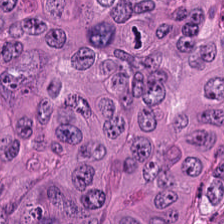H&E-stained tissue section — This field is malignant epithelium.
